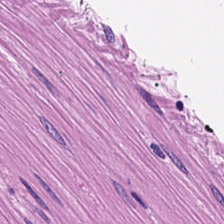Stain: hematoxylin-and-eosin stained section.
Resolution: 0.5 microns per pixel.
Tile size: 224×224 pixel tile.
Predominant tissue: muscularis.
